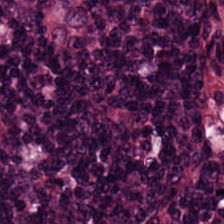H&E-stained tissue section.
This field is lymphocytes.
